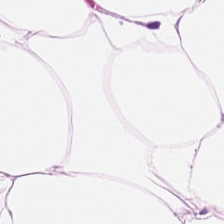{"tissue_type": "fat tissue"}
